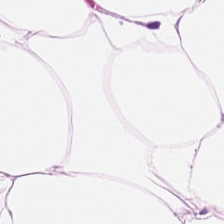{"tissue_type": "fat tissue"}
